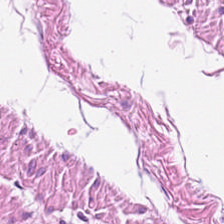Hematoxylin-and-eosin stained section · 224×224 px patch · brightfield microscopy — Predominant tissue: smooth-muscle tissue.
